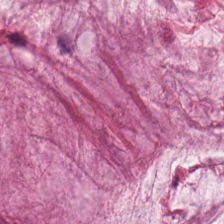Whole-slide-image patch · H&E stain. This field is mucin.
